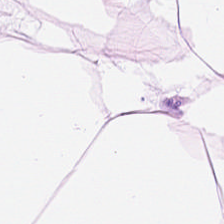H&E stain · FFPE.
Predominantly adipose.
